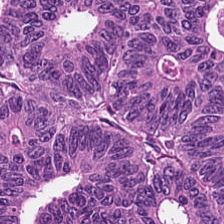Hematoxylin and eosin; 0.5 microns per pixel — Classification = malignant epithelium.
